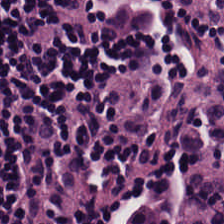Predominant tissue: lymphoid infiltrate.
